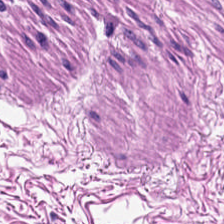H&E-stained section; the field shows smooth-muscle tissue.
